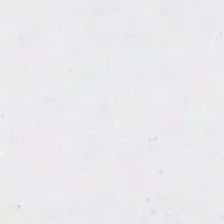Classification = no tissue.
